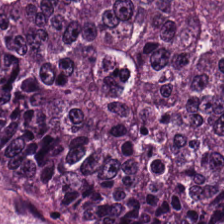H&E-stained tissue section — Finding → tumor epithelium.
